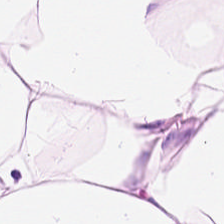Stain: H&E.
Resolution: 0.5 µm/px.
Acquisition: brightfield microscopy.
Tissue class: adipose.
